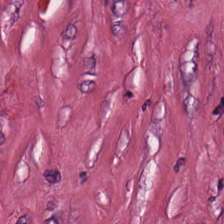224×224 px tile. H&E-stained tissue section.
Q: What is shown in this field?
A: It is tumor-associated stroma.
